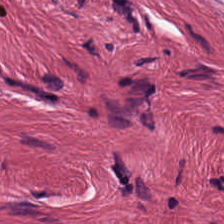Brightfield microscopy; hematoxylin-and-eosin stained section — Histology — desmoplastic stroma.
